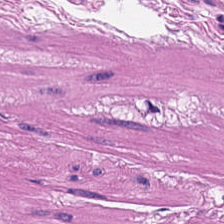Hematoxylin-and-eosin stained section; 0.5 µm/px; FFPE. Impression → smooth muscle.
